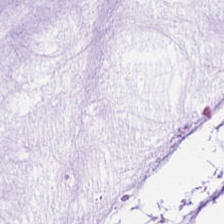H&E — Impression — mucin.
